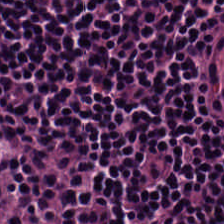This patch shows lymphocytes.
